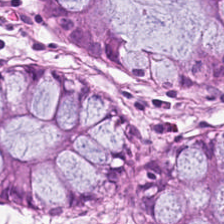Hematoxylin-and-eosin stained section.
The tissue here is normal colonic mucosa.
